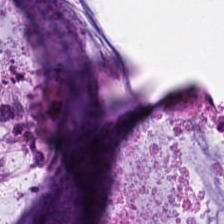H&E-stained tissue section; FFPE — The predominant tissue is mucin.
